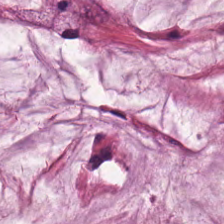Tissue class: extracellular mucin.
